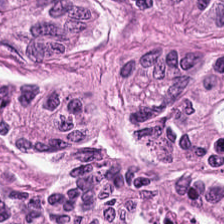H&E stain · 224×224 px tile · 0.5 µm/px.
Impression — tumor epithelium.
